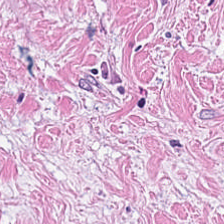224×224 px tile · whole-slide-image patch · H&E stain — Q: What tissue is shown?
A: Cancer-associated stroma.
